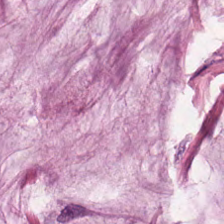Impression — mucus.
